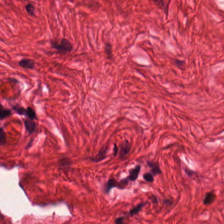H&E stain.
This patch shows muscularis.
